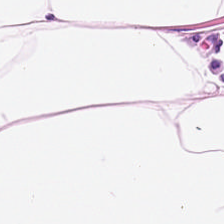H&E stain — Predominantly adipose tissue.
